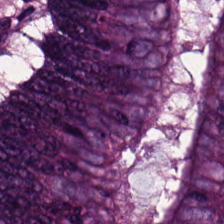H&E stain. Showing malignant epithelium.
